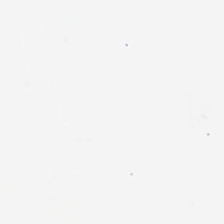H&E — No tissue present; background only.
